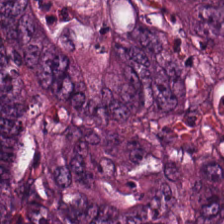H&E — Classification — tumor epithelium.
